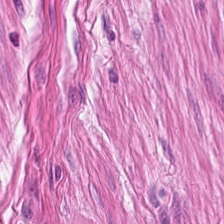H&E stain; whole-slide-image patch — Finding → smooth muscle.
